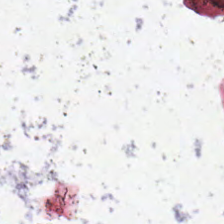This patch shows empty background.
